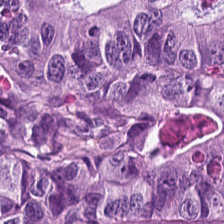Hematoxylin-and-eosin stained section · FFPE tissue section. Predominantly adenocarcinoma.
